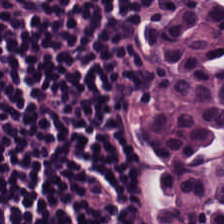H&E-stained tissue section showing lymphocyte aggregate.
